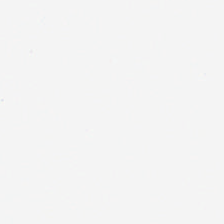Hematoxylin-and-eosin stained section.
The content is empty background.
